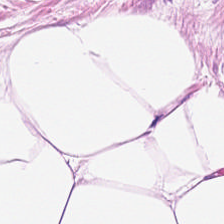Hematoxylin and eosin. Q: What is shown here?
A: Adipose tissue.
